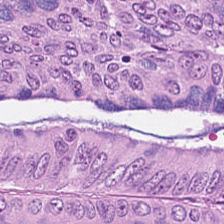224×224 px patch; H&E stain; brightfield microscopy.
Q: What is shown here?
A: The field shows colorectal adenocarcinoma epithelium.
